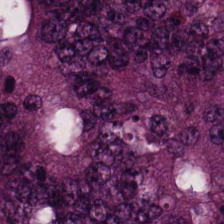H&E-stained tissue section. The tissue here is colorectal adenocarcinoma.
